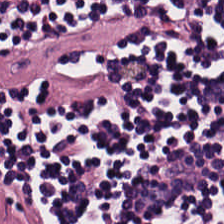H&E stain.
The predominant tissue is lymphoid infiltrate.
